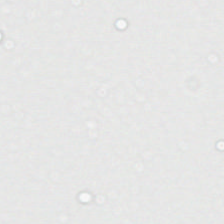20× equivalent magnification · hematoxylin and eosin — Background.
